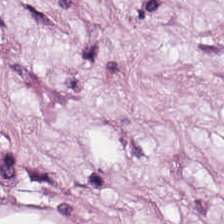Hematoxylin and eosin — The predominant tissue is adipocytes.
